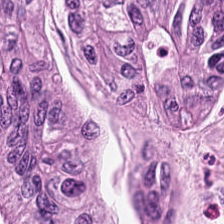H&E stain · WSI patch.
Predominant tissue = colorectal adenocarcinoma epithelium.
